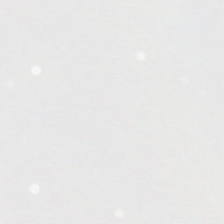H&E-stained tissue section — Finding — background.
